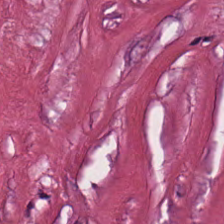H&E stain. Predominantly cancer-associated stroma.
